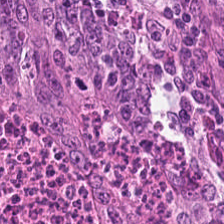{"tissue_type": "colorectal adenocarcinoma epithelium"}
